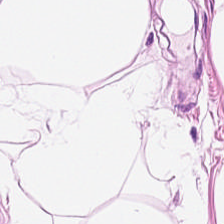0.5 microns per pixel; H&E.
This patch shows adipose.
